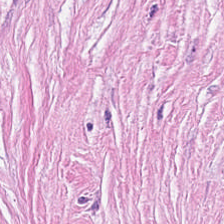Formalin-fixed paraffin-embedded section · brightfield microscopy · H&E — The predominant tissue is desmoplastic stroma.
